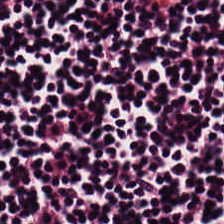Q: What tissue type is shown here?
A: This is lymphocytic infiltrate.
